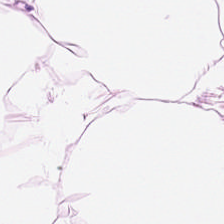H&E-stained tissue section.
Tissue = fat tissue.
